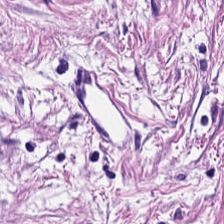Stain: hematoxylin-and-eosin stained section.
Tissue type: desmoplastic stroma.
